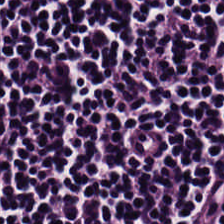224×224 px patch. H&E stain. Tissue type = lymphocytic infiltrate.
